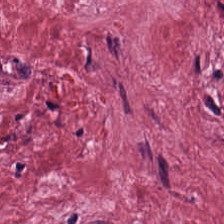FFPE · H&E — The predominant tissue is desmoplastic stroma.
